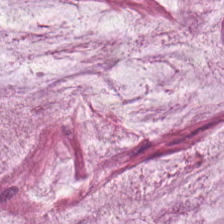H&E. FFPE — Predominant tissue = mucus.
